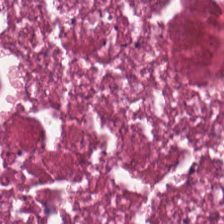This field is necrotic debris.
